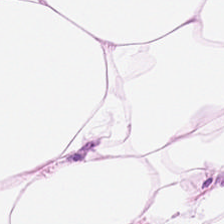Showing adipose.
